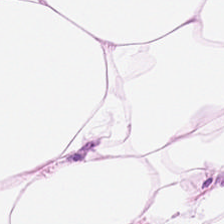Showing adipose.
